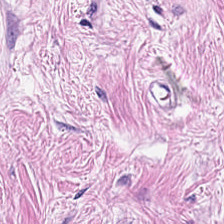Stain: hematoxylin-and-eosin stained section.
Classification: desmoplastic stroma.
